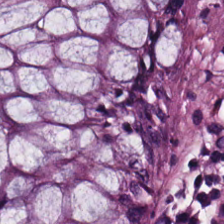Predominantly normal colon mucosa.
